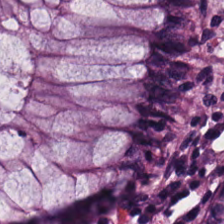Hematoxylin and eosin · WSI patch · 224×224 px tile.
Showing non-neoplastic colon mucosa.
